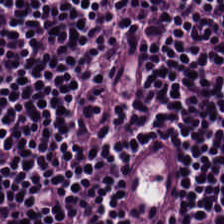Whole-slide-image patch; 224×224 px tile; hematoxylin-and-eosin stained section — This field is lymphoid infiltrate.
